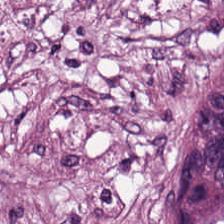H&E-stained tissue section. 224×224 px tile. FFPE. Tissue class: tumor stroma.
